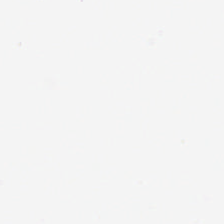H&E stain — This patch shows background (no tissue).
